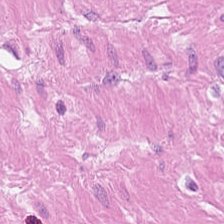H&E. Tissue: smooth muscle.
